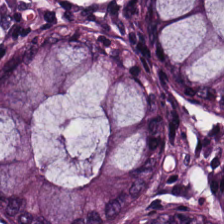FFPE; H&E-stained tissue section. Q: What tissue type is shown here?
A: It is benign colonic mucosa.
